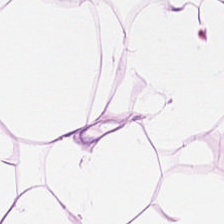Q: What is the predominant tissue type?
A: Fat tissue.
